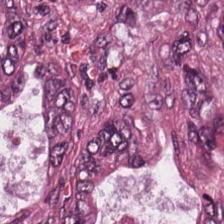Stain: H&E stain.
Tissue: tumor epithelium.
